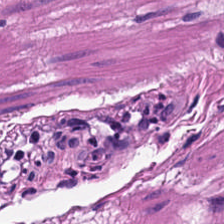H&E.
Q: What is shown here?
A: It is smooth muscle.
